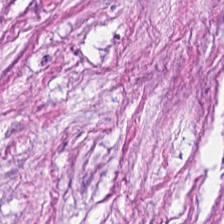20× equivalent magnification. Hematoxylin-and-eosin stained section — The tissue is tumor-associated stroma.
